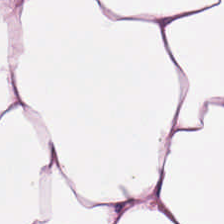Hematoxylin-and-eosin stained section.
Tissue type: adipose tissue.
